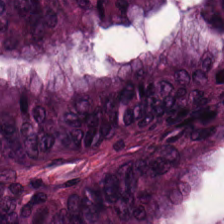H&E.
The tissue class is colorectal adenocarcinoma epithelium.
